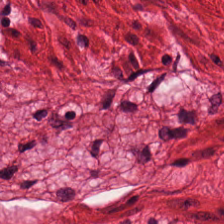Hematoxylin-and-eosin stained section — {"tissue_type": "smooth muscle"}
